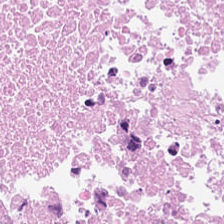H&E. Q: Identify the tissue.
A: This is cellular debris.
